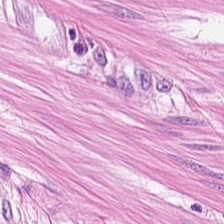H&E-stained tissue section; formalin-fixed paraffin-embedded section.
The classification is smooth-muscle tissue.
